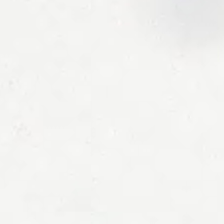The classification is empty background.
